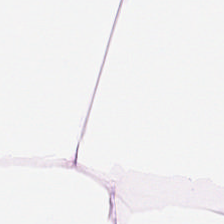H&E; FFPE; whole-slide-image patch — {"tissue_type": "adipose tissue"}
